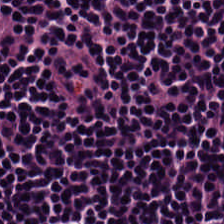Hematoxylin and eosin — Q: What is the predominant tissue type?
A: It is lymphoid infiltrate.
